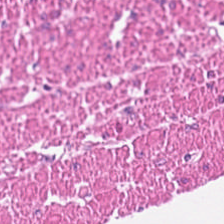Stain: hematoxylin-and-eosin stained section.
Tissue type: smooth muscle.
